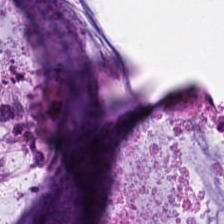Stain: H&E-stained tissue section.
Tile size: 224×224 pixel tile.
Preparation: FFPE tissue section.
Predominant tissue: mucus.
